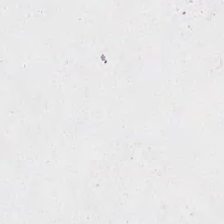H&E stain · FFPE tissue section · 20× equivalent magnification.
Classification: no tissue.
